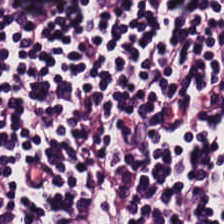Q: What is shown in this field?
A: It is lymphocyte aggregate.
